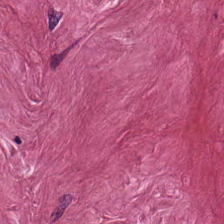Histology — cancer-associated stroma.
